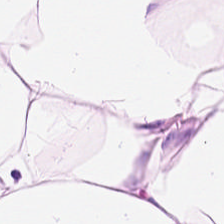Hematoxylin-and-eosin stained section.
The tissue is fat tissue.
